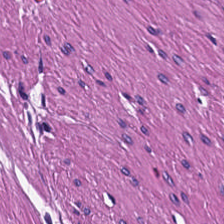Stain: H&E-stained tissue section.
Tissue class: smooth-muscle tissue.
